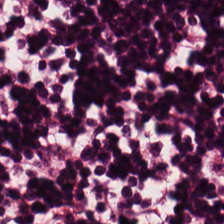H&E-stained tissue section.
Showing lymphoid infiltrate.
